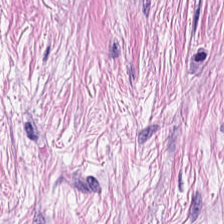Stain: hematoxylin and eosin.
Tissue class: desmoplastic stroma.
